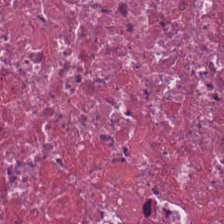H&E · FFPE tissue section · 224×224 px tile.
This field is cellular debris.
